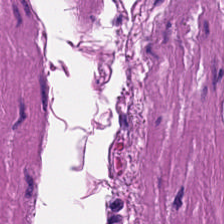H&E-stained tissue section. The tissue type is muscularis.
